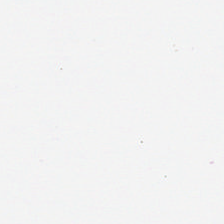Background — no tissue in this field.
